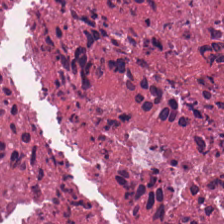H&E-stained tissue section.
The tissue class is necrotic debris.
